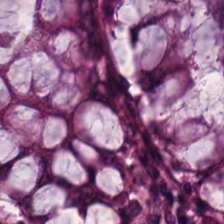H&E-stained tissue section.
Classification = normal colon mucosa.
